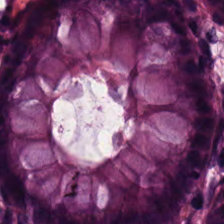Tissue — normal colonic mucosa.
